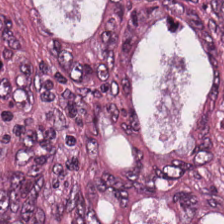224×224 pixel tile; H&E stain. The classification is malignant epithelium.
